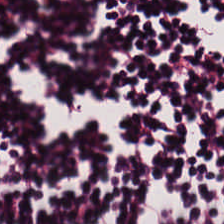H&E stain; whole-slide-image patch. Lymphocyte aggregate.
